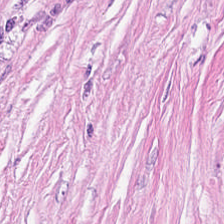H&E — Tissue type — cancer-associated stroma.
